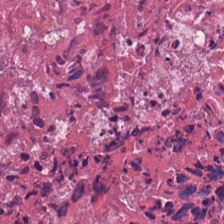224×224 px tile; brightfield microscopy; H&E-stained tissue section — Tissue — debris.
